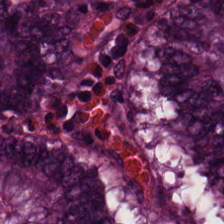The classification is benign colonic mucosa.
